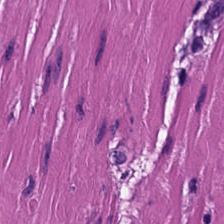H&E-stained tissue section. Formalin-fixed paraffin-embedded section. Showing smooth-muscle tissue.
